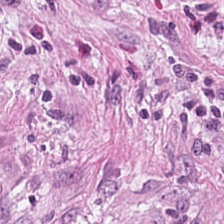The classification is cancer-associated stroma.
